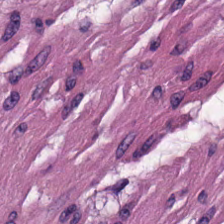Hematoxylin-and-eosin stained section — Q: What type of tissue is this?
A: Smooth-muscle tissue.
